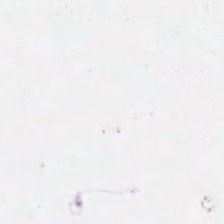Stain: hematoxylin and eosin.
Classification: background.
